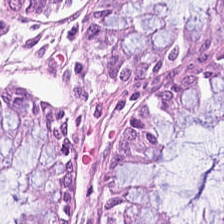Predominantly normal colon mucosa.
